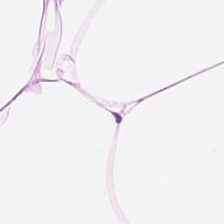224×224 px patch. Hematoxylin and eosin. Predominant tissue = fat tissue.
